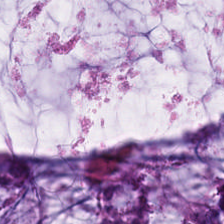Stain: H&E stain.
Classification: mucus.
